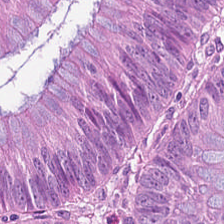H&E stain. Q: What is shown in this field?
A: This is tumor epithelium.
